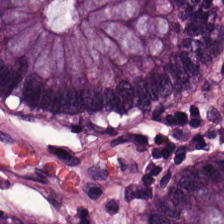Whole-slide-image patch · H&E-stained tissue section · 20× equivalent magnification.
Predominantly normal colon mucosa.
